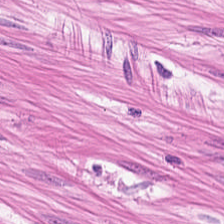Whole-slide-image patch. Formalin-fixed paraffin-embedded section. Hematoxylin and eosin. The tissue is smooth-muscle tissue.
